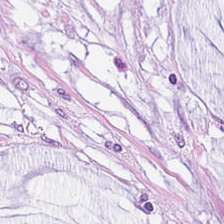Whole-slide-image patch · hematoxylin-and-eosin stained section.
Classification — mucus.
